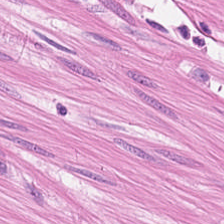H&E; brightfield; FFPE. The predominant tissue is muscularis.
